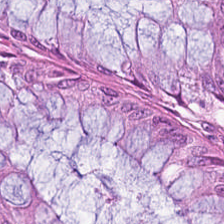0.5 µm per pixel. H&E-stained tissue section. Q: What tissue type is shown here?
A: This is normal colon mucosa.
